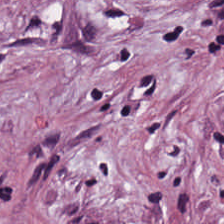H&E — Q: What is shown in this field?
A: It is cancer-associated stroma.
